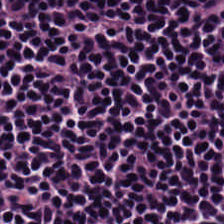Q: What tissue is shown?
A: It is lymphocytic infiltrate.
